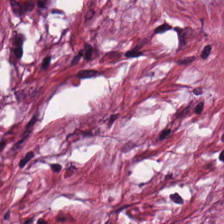H&E-stained tissue section · WSI patch · 0.5 µm per pixel — Tissue class: cancer-associated stroma.
